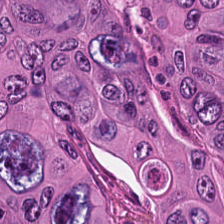FFPE · 224×224 pixel tile · hematoxylin and eosin. Tissue type — colorectal adenocarcinoma epithelium.
